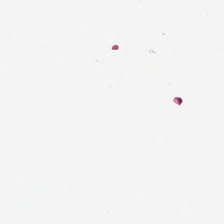H&E-stained tissue section — Q: Classify this patch.
A: Background.
